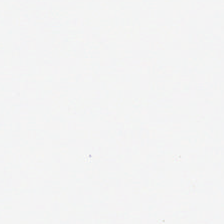0.5 µm/px. H&E-stained tissue section. 224×224 px tile. Empty background.
